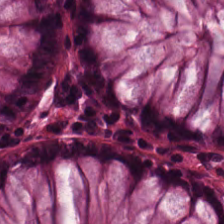Hematoxylin and eosin — Q: Classify this patch.
A: This is benign colonic mucosa.
